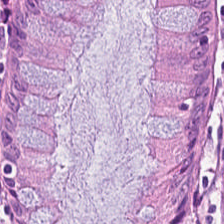H&E. The tissue here is normal colonic mucosa.
